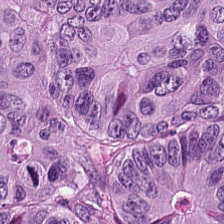224×224 px tile. H&E. FFPE.
Q: What tissue is shown?
A: The field shows colorectal adenocarcinoma.
